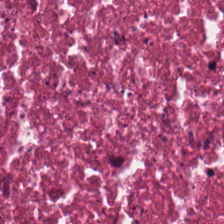Whole-slide-image patch · H&E stain — Classification — cellular debris.
